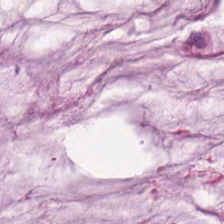Whole-slide-image patch. Hematoxylin-and-eosin stained section — Tissue type — extracellular mucin.
